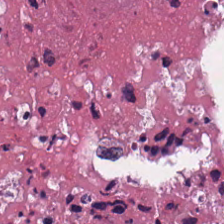0.5 µm per pixel. H&E-stained tissue section.
Predominant tissue = necrotic debris.
